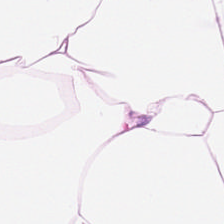H&E stain · whole-slide-image patch — Tissue — fat tissue.
